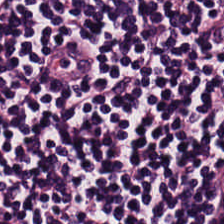Hematoxylin-and-eosin stained section. Tissue type = lymphocytes.
